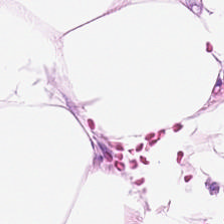Hematoxylin-and-eosin stained section. Finding — fat tissue.
